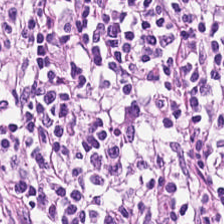H&E-stained tissue section · FFPE tissue section.
Lymphocytes.
